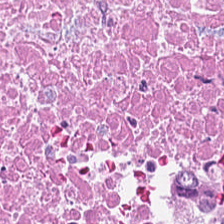224×224 pixel tile. H&E stain. Impression → cellular debris.
